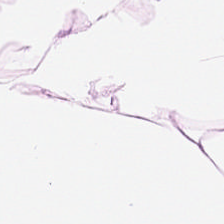Q: Identify the tissue.
A: Adipose.
